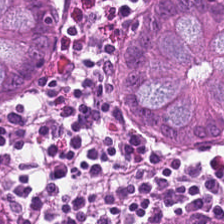224×224 pixel tile; H&E stain.
Tissue type = non-neoplastic colon mucosa.
